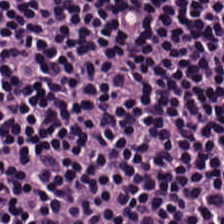H&E; formalin-fixed paraffin-embedded section.
The predominant tissue is lymphocytic infiltrate.
